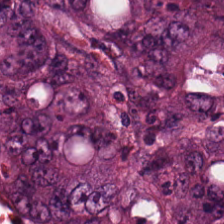224×224 pixel tile; H&E-stained tissue section.
The classification is adenocarcinoma.
